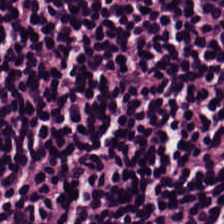H&E-stained tissue section. 0.5 µm/px. FFPE tissue section. The tissue class is lymphoid infiltrate.
